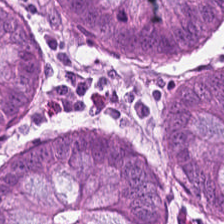H&E stain. This patch shows normal colonic mucosa.
